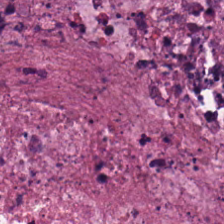Hematoxylin and eosin — The tissue here is necrotic debris.
